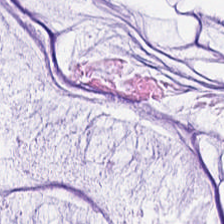Hematoxylin and eosin.
This patch shows extracellular mucin.
